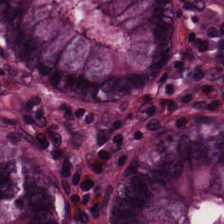Hematoxylin and eosin. Q: What tissue is shown?
A: Normal colonic mucosa.
